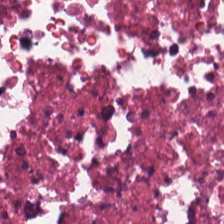H&E stain.
Showing necrotic debris.
